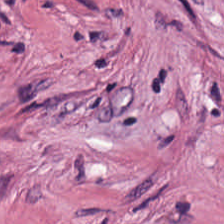0.5 µm/px · hematoxylin and eosin. Predominantly tumor-associated stroma.
